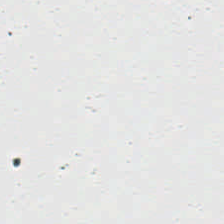Hematoxylin and eosin — This field is background (no tissue).
